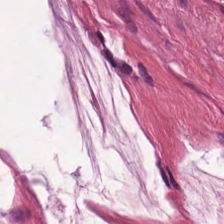Q: What is shown here?
A: This is extracellular mucin.
